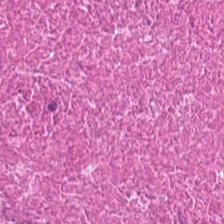Hematoxylin-and-eosin stained section. Tissue class — necrotic debris.
